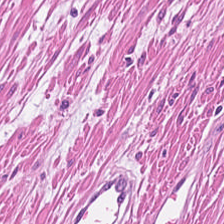224×224 px patch · H&E.
This field is smooth muscle.
